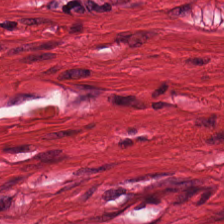Impression → smooth-muscle tissue.
